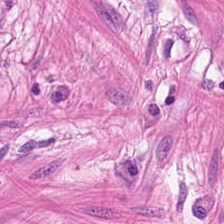H&E. Smooth-muscle tissue.
